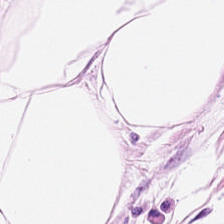The tissue type is adipose.
